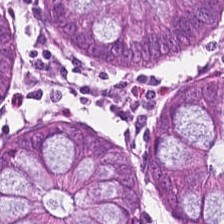0.5 µm/px; H&E. Tissue — normal colonic mucosa.
